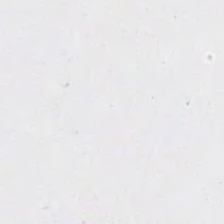This patch shows background (no tissue).
